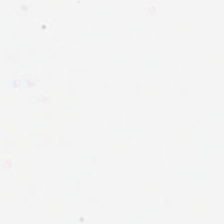H&E.
The classification is empty background.
